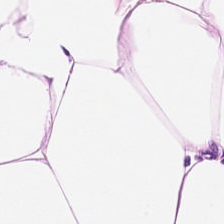This field is adipose.
